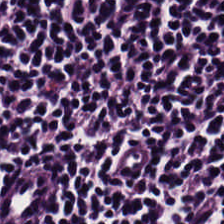H&E stain.
Tissue type = lymphocytes.
